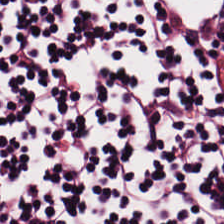Stain: hematoxylin and eosin.
Tile size: 224×224 px tile.
Predominant tissue: lymphocytic infiltrate.
